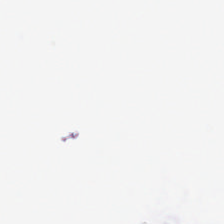H&E stain · 0.5 microns per pixel.
Q: What does this patch show?
A: It is empty background.
